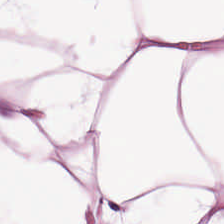Tissue class: adipose tissue.
